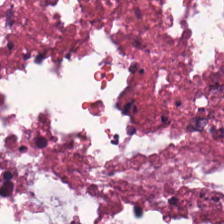Tissue class: cellular debris.
